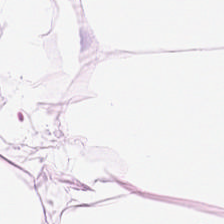H&E stain.
Tissue: fat tissue.
